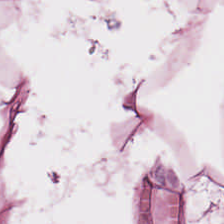H&E stain — Adipose tissue.
